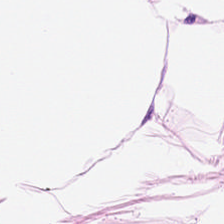H&E stain.
Tissue type: fat tissue.
